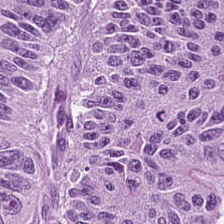H&E — Q: What is shown here?
A: The field shows tumor epithelium.
